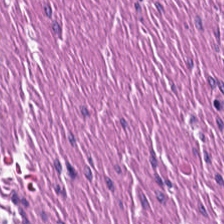224×224 px tile · H&E-stained tissue section. This field is muscularis.
